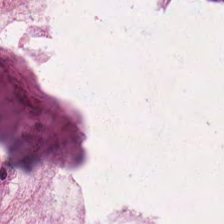Stain: H&E stain.
Tissue: mucus.
